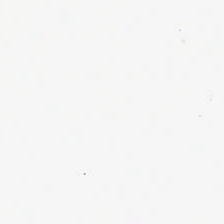WSI patch; 0.5 µm per pixel; hematoxylin and eosin.
Q: What is shown in this field?
A: No tissue.
